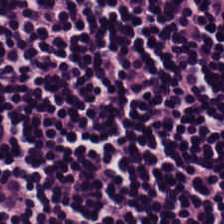Showing lymphocyte aggregate.
